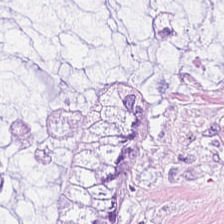Hematoxylin-and-eosin section: extracellular mucin.
